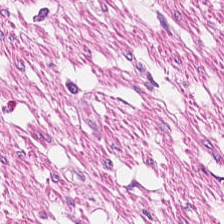Q: What is shown in this field?
A: This is smooth-muscle tissue.
